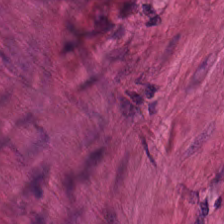H&E — This patch shows smooth-muscle tissue.
